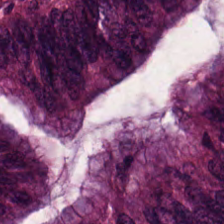WSI patch · H&E stain · 0.5 µm/px — Q: What type of tissue is this?
A: Adenocarcinoma.
